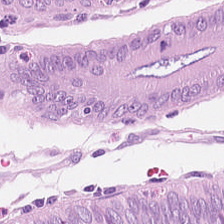H&E-stained tissue section. Showing non-neoplastic colon mucosa.
